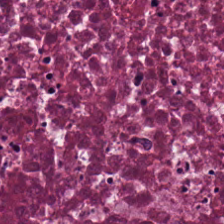Stain: hematoxylin-and-eosin stained section.
Tile size: 224×224 pixel tile.
Preparation: FFPE tissue section.
Tissue class: cellular debris.
